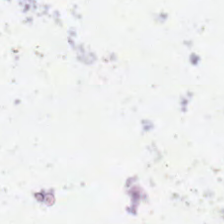Hematoxylin-and-eosin stained section. Impression — no tissue.
